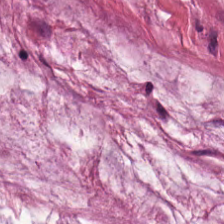Hematoxylin and eosin.
The predominant tissue is mucin.
